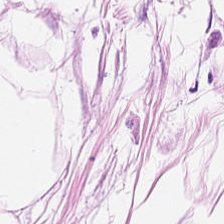Hematoxylin-and-eosin stained section. FFPE. 0.5 microns per pixel — Q: What type of tissue is this?
A: It is adipose.
